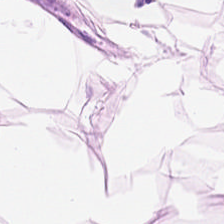Tissue type — adipose tissue.
